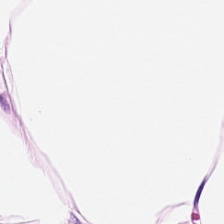Hematoxylin and eosin. The classification is fat tissue.
